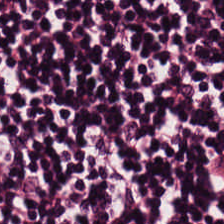H&E-stained tissue section; brightfield. The tissue here is lymphocytes.
